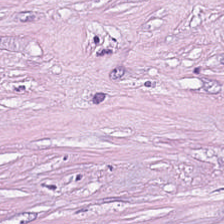Hematoxylin and eosin — Q: What type of tissue is this?
A: The field shows desmoplastic stroma.
